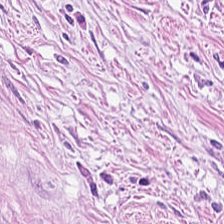Brightfield; FFPE; hematoxylin-and-eosin stained section.
Classification: tumor stroma.
